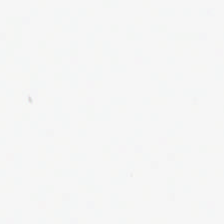Impression → empty background.
